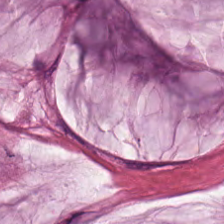H&E — extracellular mucin.
